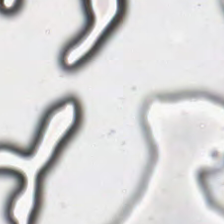Stain: H&E.
Content: background (no tissue).
